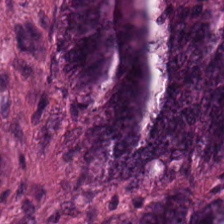Q: What is shown in this field?
A: Adenocarcinoma.
